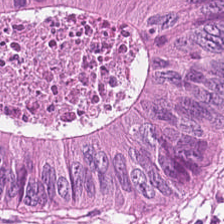224×224 px tile; H&E — Tissue type: colorectal adenocarcinoma epithelium.
